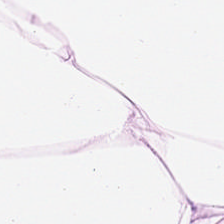Stain: H&E-stained tissue section.
Tissue class: adipose.
